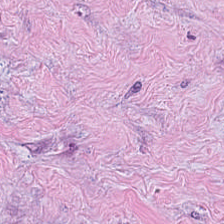H&E.
The tissue here is tumor-associated stroma.
